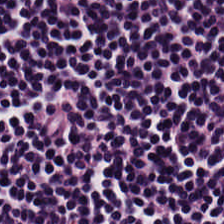0.5 µm/px · hematoxylin-and-eosin stained section. Predominantly lymphoid infiltrate.
